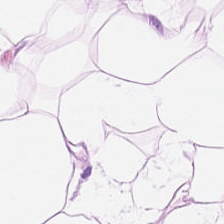H&E stain · 224×224 px tile.
This patch shows adipose tissue.
